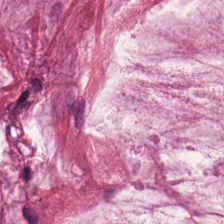Stain: hematoxylin-and-eosin stained section.
Tissue type: mucus.
